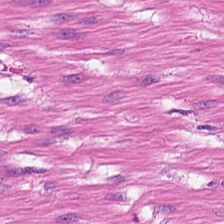Hematoxylin-and-eosin stained section · brightfield.
Smooth muscle.
